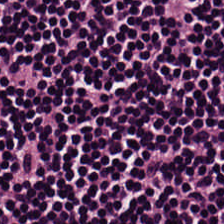Formalin-fixed paraffin-embedded section; H&E-stained tissue section; 224×224 px tile. Tissue type: lymphocytes.
